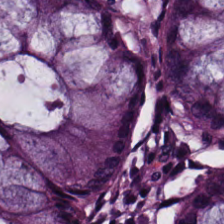H&E stain — Showing normal colonic mucosa.
